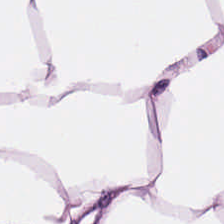Stain: H&E stain.
Resolution: 0.5 µm per pixel.
Classification: adipocytes.
